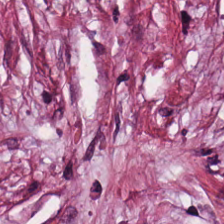Q: What tissue type is shown here?
A: The field shows desmoplastic stroma.
